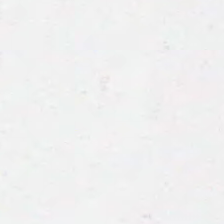H&E-stained tissue section — Field content = empty background.
